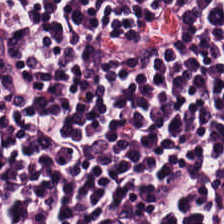Stain: hematoxylin and eosin.
Acquisition: WSI patch.
Predominant tissue: lymphocytes.
